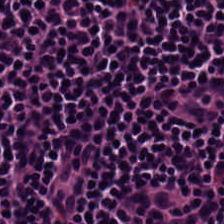Hematoxylin-and-eosin stained section; FFPE tissue section — Lymphocytes.
